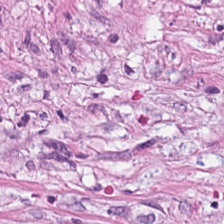Brightfield microscopy; H&E; 224×224 px patch — This patch shows tumor stroma.
